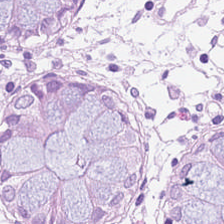FFPE tissue section · hematoxylin-and-eosin stained section.
Tissue class: benign colonic mucosa.
